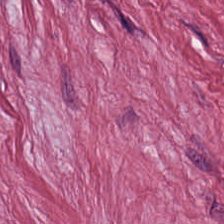224×224 px tile · H&E-stained tissue section · 0.5 µm per pixel.
This field is cancer-associated stroma.
